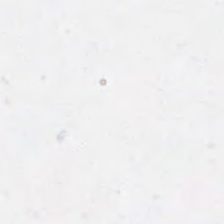Hematoxylin-and-eosin stained section · 224×224 px tile.
Background — no tissue in this field.
